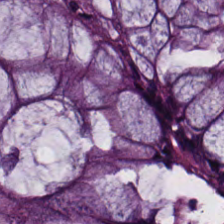Hematoxylin-and-eosin stained section — Q: What type of tissue is this?
A: This is normal colonic mucosa.
